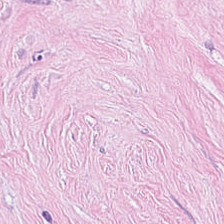H&E — The tissue type is cancer-associated stroma.
